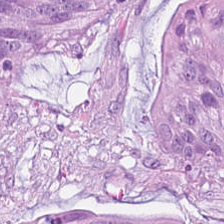Stain: H&E stain.
Tissue class: mucus.
